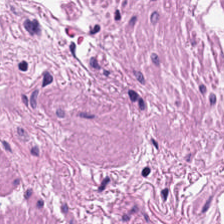Hematoxylin-and-eosin stained section. Showing muscularis.
